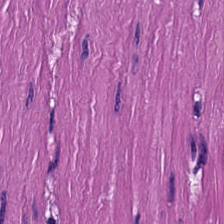H&E stain. Classification: muscularis.
